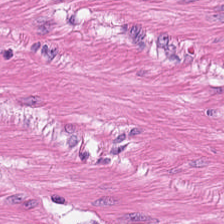H&E. Classification: smooth-muscle tissue.
